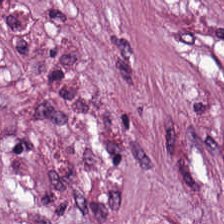Hematoxylin and eosin — Tissue class = desmoplastic stroma.
